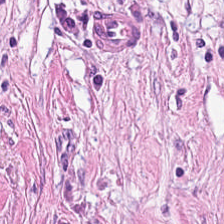H&E-stained tissue section.
This patch shows cancer-associated stroma.
